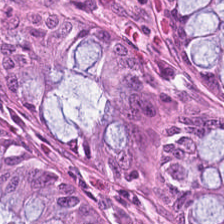Hematoxylin-and-eosin stained section — Q: What is shown in this field?
A: Non-neoplastic colon mucosa.
